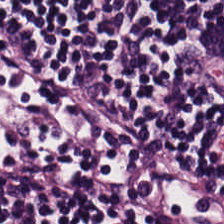The predominant tissue is lymphocytic infiltrate.
